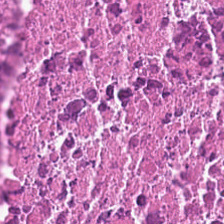Stain: hematoxylin and eosin.
Predominant tissue: cellular debris.
